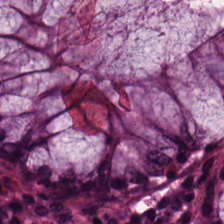H&E-stained tissue section — The tissue type is benign colonic mucosa.
